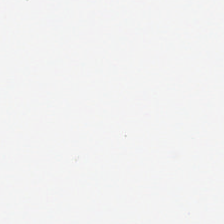Background (no tissue).
